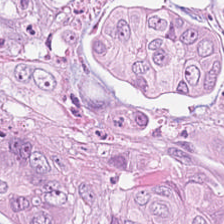H&E-stained tissue section · formalin-fixed paraffin-embedded section — Showing tumor epithelium.
